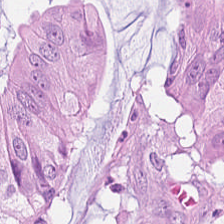Q: What tissue type is shown here?
A: It is colorectal adenocarcinoma.
